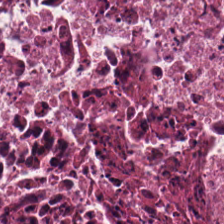H&E stain; whole-slide-image patch; 20× equivalent magnification. Q: Classify this patch.
A: Debris.
